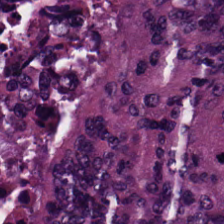The tissue is malignant epithelium.
